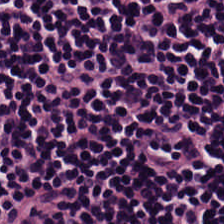H&E stain; formalin-fixed paraffin-embedded section; 0.5 microns per pixel. This patch shows lymphocyte aggregate.
